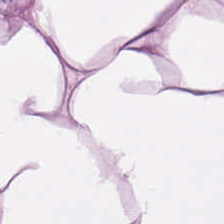Hematoxylin and eosin.
Finding → adipose.
